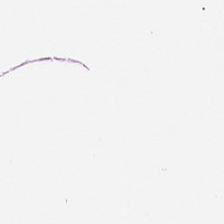Stain: hematoxylin and eosin.
Classification: background (no tissue).
